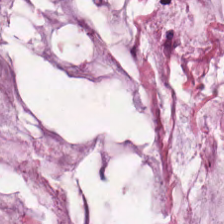H&E — Q: What does this patch show?
A: This is extracellular mucin.
